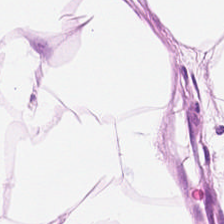Hematoxylin-and-eosin stained section. Adipose.
